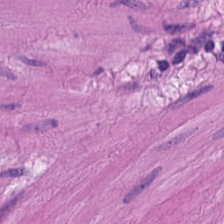H&E-stained tissue section. The tissue here is smooth muscle.
